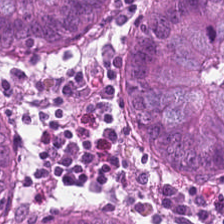Hematoxylin-and-eosin stained section — The predominant tissue is normal colonic mucosa.
